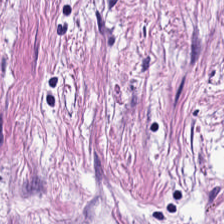H&E-stained tissue section. Showing cancer-associated stroma.
